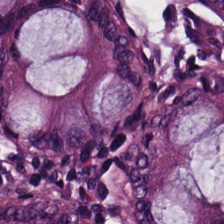H&E-stained tissue section — Q: What type of tissue is this?
A: Normal colon mucosa.
